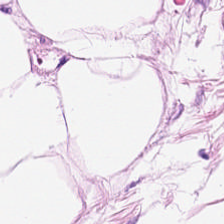FFPE tissue section; H&E-stained tissue section.
Classification = adipose.
